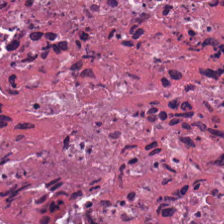Stain: hematoxylin and eosin.
Predominant tissue: cellular debris.
